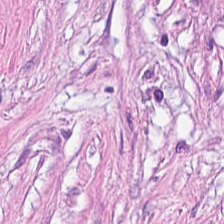H&E · 224×224 pixel tile.
The predominant tissue is tumor-associated stroma.
